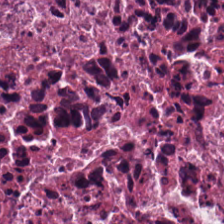H&E-stained tissue section — This field is cellular debris.
